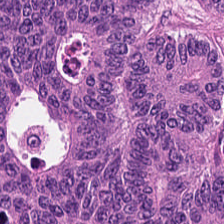This patch shows malignant epithelium.
